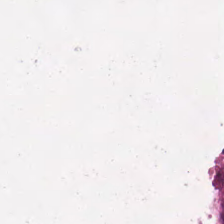H&E stain. FFPE. 0.5 µm per pixel — Q: What tissue is shown?
A: Debris.
